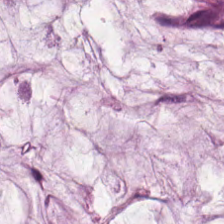Hematoxylin and eosin; whole-slide-image patch; 0.5 µm/px. Q: What tissue is shown?
A: This is mucus.
